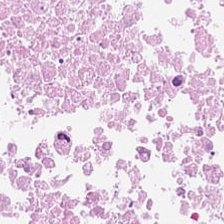H&E. Histology — necrotic debris.
